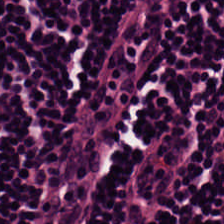Hematoxylin-and-eosin stained section; 224×224 pixel tile; 0.5 µm/px — Tissue class: lymphoid infiltrate.
